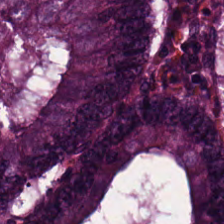Stain: hematoxylin-and-eosin stained section.
Predominant tissue: malignant epithelium.
